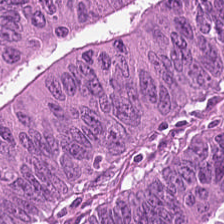H&E.
Predominantly adenocarcinoma.
